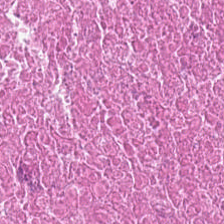H&E-stained tissue section. 0.5 µm per pixel — Q: What tissue is shown?
A: Cellular debris.
